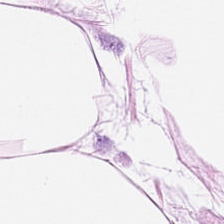Hematoxylin-and-eosin stained section — The classification is adipocytes.
